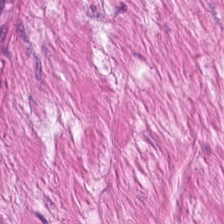Predominant tissue = muscularis.
